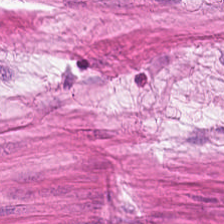Stain: H&E.
Acquisition: WSI patch.
Resolution: 20× equivalent magnification.
Tissue class: smooth-muscle tissue.
